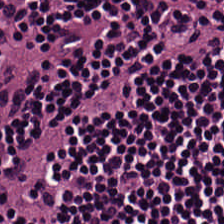H&E-stained tissue section. 224×224 px tile.
Impression — lymphocytes.
